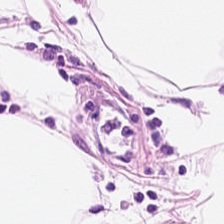FFPE tissue section; whole-slide-image patch; H&E — The tissue here is adipose.
